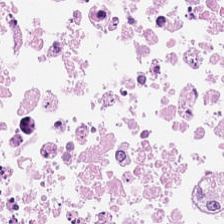H&E. This field is necrotic debris.
